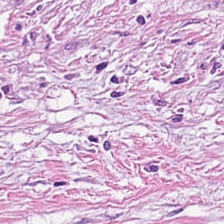H&E stain. The classification is tumor-associated stroma.
